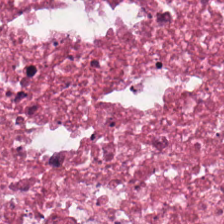224×224 pixel tile; 0.5 microns per pixel; hematoxylin-and-eosin stained section. This patch shows cellular debris.
